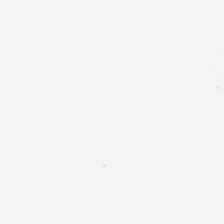Brightfield microscopy; H&E stain; 0.5 µm per pixel — Q: What does this patch show?
A: Empty background.
